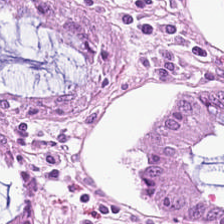Stain: H&E stain.
Tile size: 224×224 px tile.
Preparation: FFPE.
Predominant tissue: normal colon mucosa.
